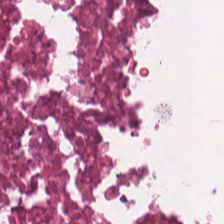Hematoxylin-and-eosin stained section.
The tissue type is debris.
